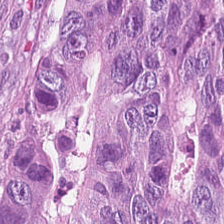The tissue here is tumor epithelium.
